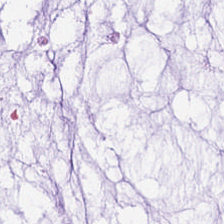Stain: H&E stain.
Tissue: mucin.
